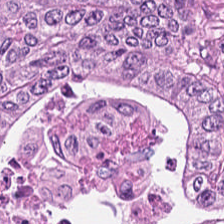Showing adenocarcinoma.
